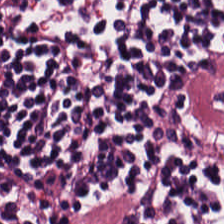H&E. This patch shows lymphocytic infiltrate.
